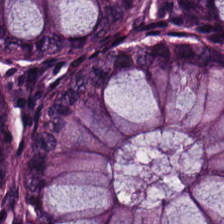FFPE tissue section; hematoxylin-and-eosin stained section.
The tissue here is normal colonic mucosa.
